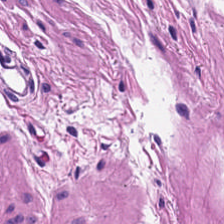Smooth-muscle tissue.
